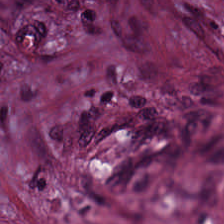H&E-stained tissue section. This field is desmoplastic stroma.
